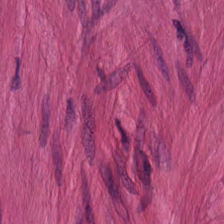H&E stain. {"tissue_type": "smooth-muscle tissue"}
